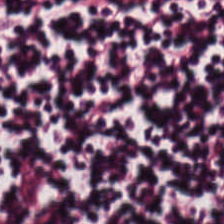H&E-stained tissue section.
Impression — lymphoid infiltrate.
